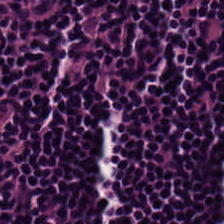H&E-stained tissue section; whole-slide-image patch — Q: What tissue type is shown here?
A: This is lymphocytic infiltrate.
